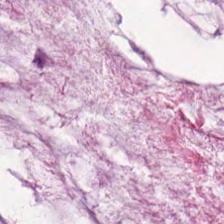Finding — extracellular mucin.
